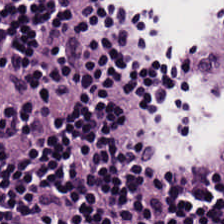224×224 px patch; H&E stain — Tissue class: lymphoid infiltrate.
